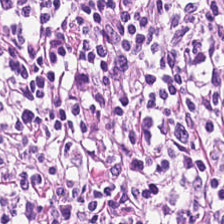H&E stain.
Q: What tissue is shown?
A: This is lymphocytic infiltrate.
